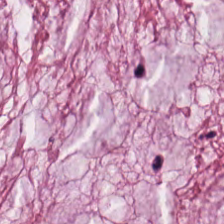Hematoxylin-and-eosin stained section.
Tissue = extracellular mucin.
